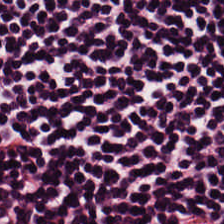FFPE. Brightfield. H&E-stained tissue section — Showing lymphoid infiltrate.
